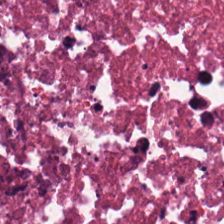H&E; formalin-fixed paraffin-embedded section — This field is debris.
